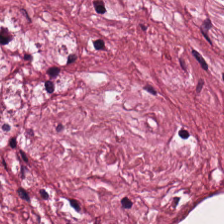Stain: H&E-stained tissue section.
Preparation: FFPE tissue section.
Resolution: 0.5 µm per pixel.
Tissue type: tumor stroma.
